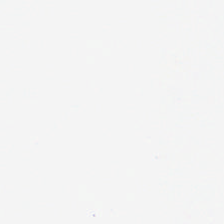Stain: H&E stain.
Classification: empty background.
